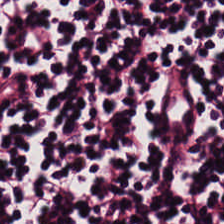Hematoxylin-and-eosin section: lymphocytic infiltrate.
